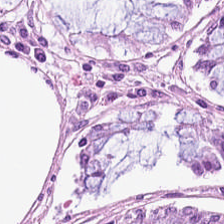Stain: H&E-stained tissue section.
Predominant tissue: normal colonic mucosa.
